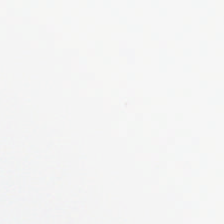No tissue present; background only.
